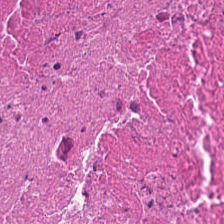H&E stain — This patch shows necrotic debris.
